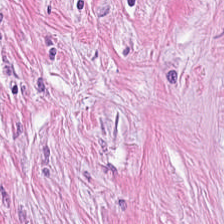Q: What type of tissue is this?
A: It is desmoplastic stroma.
